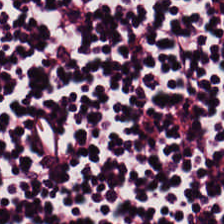The predominant tissue is lymphocytic infiltrate.
